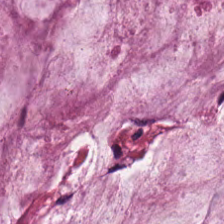Tissue — extracellular mucin.
